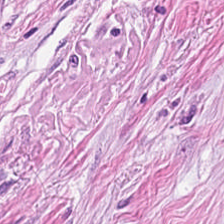Stain: hematoxylin and eosin.
Tissue: desmoplastic stroma.
